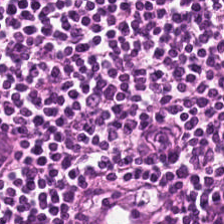FFPE · H&E · whole-slide-image patch — Tissue = lymphocyte aggregate.
